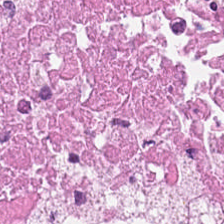Stain: H&E-stained tissue section.
Predominant tissue: necrotic debris.
